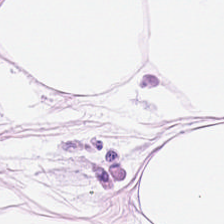Hematoxylin-and-eosin stained section — Q: What tissue is shown?
A: The field shows adipose.
